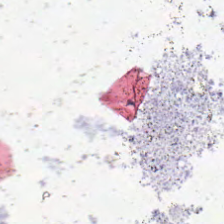H&E · 0.5 µm per pixel · FFPE — Content — background (no tissue).
